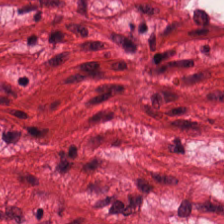Hematoxylin and eosin. Tissue = smooth muscle.
